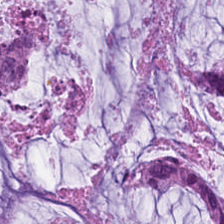H&E-stained tissue section.
This patch shows mucin.
